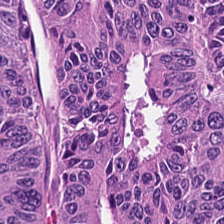Hematoxylin-and-eosin stained section.
This patch shows colorectal adenocarcinoma.
